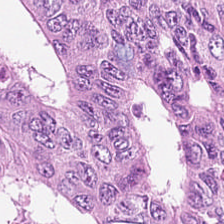Brightfield. H&E. 224×224 px tile.
Tissue — adenocarcinoma.
